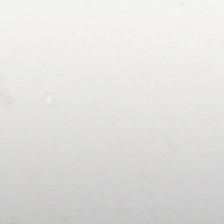H&E-stained tissue section. The field content is background (no tissue).
